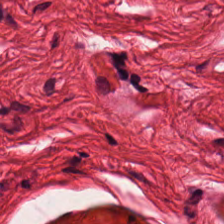Predominant tissue — smooth muscle.
